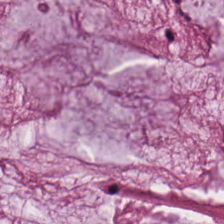Hematoxylin and eosin. Showing mucin.
